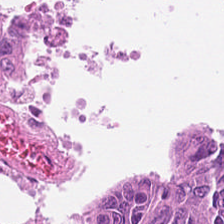Stain: H&E.
Classification: adenocarcinoma.
